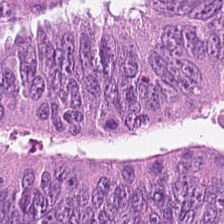This patch shows colorectal adenocarcinoma.
